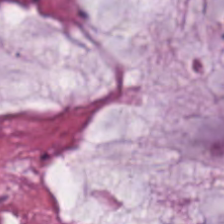H&E-stained tissue section. Q: What tissue is shown?
A: This is mucin.
